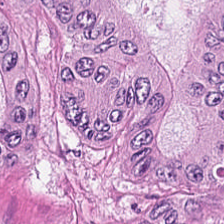H&E — Q: What is shown in this field?
A: This is adenocarcinoma.
